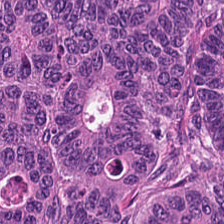WSI patch · H&E stain · 224×224 pixel tile — Q: What type of tissue is this?
A: It is colorectal adenocarcinoma epithelium.
